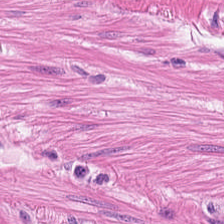H&E; whole-slide-image patch. Histology → muscularis.
